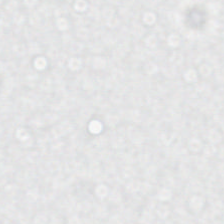H&E stain · 224×224 pixel tile. Classification: no tissue.
